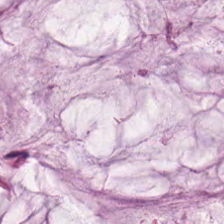Tissue type: mucin.
